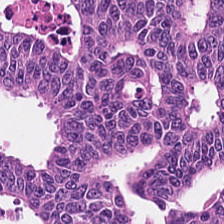FFPE tissue section; hematoxylin-and-eosin stained section. The predominant tissue is colorectal adenocarcinoma.
